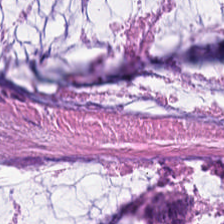Hematoxylin-and-eosin stained section. Brightfield.
Tissue type: extracellular mucin.
